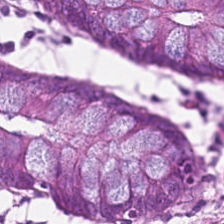Formalin-fixed paraffin-embedded section; H&E-stained tissue section; 224×224 px patch. Q: Classify this patch.
A: This is benign colonic mucosa.
